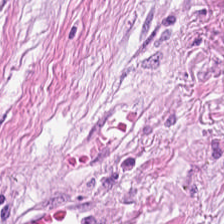H&E — The tissue type is desmoplastic stroma.
